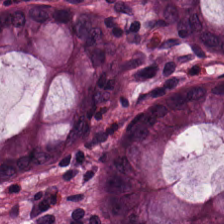Impression — normal colon mucosa.
